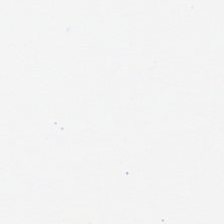224×224 pixel tile. Hematoxylin-and-eosin stained section — Content = empty background.
